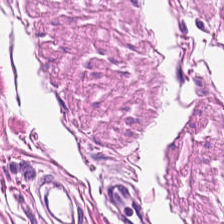Hematoxylin and eosin.
Q: What is shown in this field?
A: It is smooth muscle.
